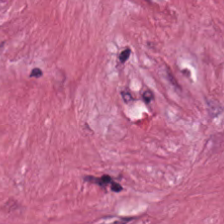Whole-slide-image patch; H&E stain. Classification = tumor-associated stroma.
